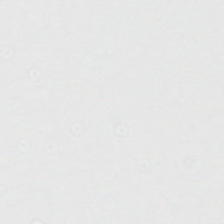H&E-stained tissue section.
This patch shows no tissue.
